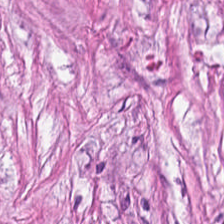H&E-stained tissue section showing desmoplastic stroma.
